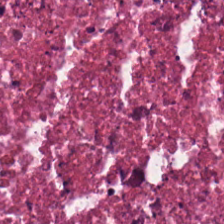H&E stain.
The tissue here is cellular debris.
